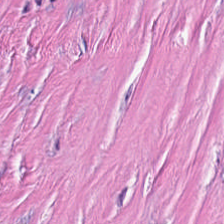Tissue class = cancer-associated stroma.
